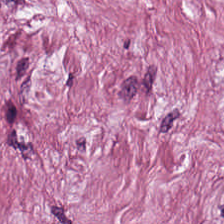H&E stain · 224×224 px patch.
The tissue here is desmoplastic stroma.
